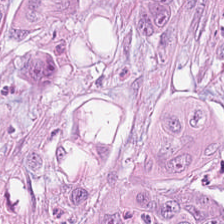224×224 pixel tile. Hematoxylin and eosin. FFPE — Finding — tumor epithelium.
